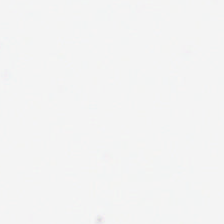Empty field — background (no tissue).
